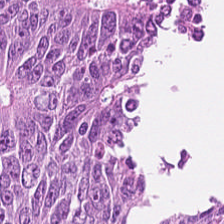H&E-stained tissue section. {"tissue_type": "colorectal adenocarcinoma"}
